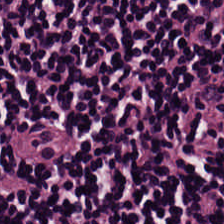H&E — The tissue class is lymphoid infiltrate.
